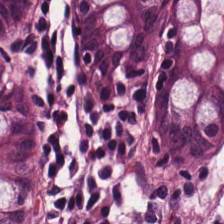H&E stain — Predominantly non-neoplastic colon mucosa.
